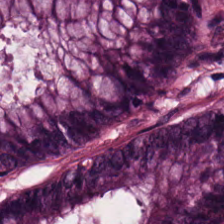Stain: hematoxylin and eosin.
Resolution: 20× equivalent magnification.
Tissue type: benign colonic mucosa.
